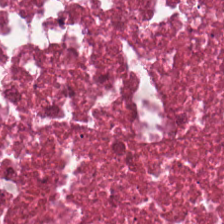Q: What is the predominant tissue type?
A: It is cellular debris.
